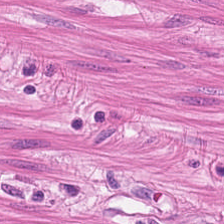Stain: H&E.
Preparation: FFPE.
Predominant tissue: smooth muscle.
